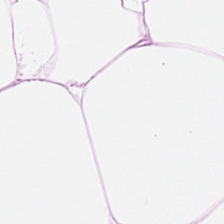Tissue = adipocytes.
